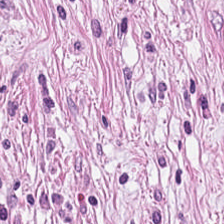Hematoxylin and eosin.
Tissue class = desmoplastic stroma.
